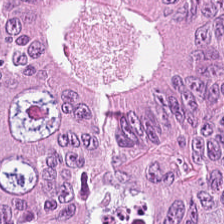Brightfield microscopy; 224×224 px patch; H&E stain. Tissue — colorectal adenocarcinoma.
